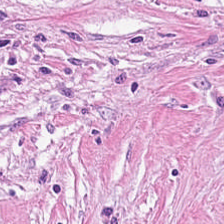Hematoxylin-and-eosin section: tumor stroma.
